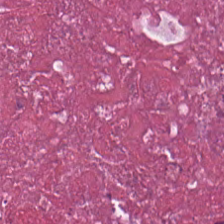Hematoxylin-and-eosin section: cellular debris.
